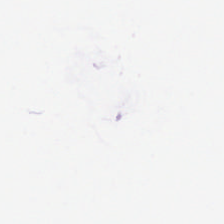This field is background (no tissue).
